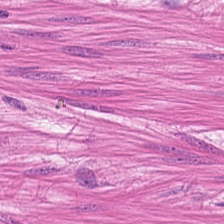The tissue class is smooth-muscle tissue.
